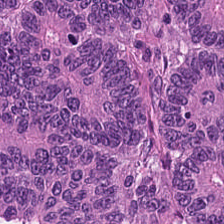Stain: hematoxylin and eosin.
Classification: adenocarcinoma.
